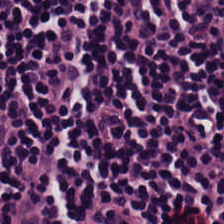224×224 px tile. H&E stain.
Tissue type = lymphocytic infiltrate.
